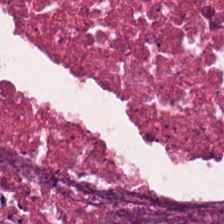H&E-stained tissue section; WSI patch.
The predominant tissue is debris.
